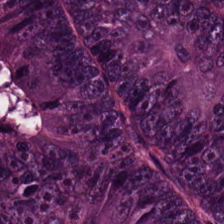FFPE. H&E stain.
{"tissue_type": "tumor epithelium"}
